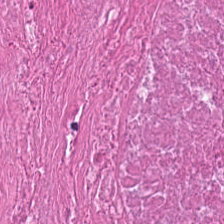FFPE tissue section; hematoxylin and eosin; WSI patch — The predominant tissue is debris.
